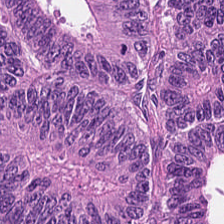This field is colorectal adenocarcinoma.
